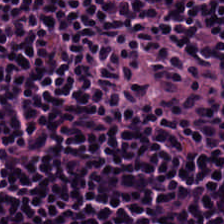Brightfield. H&E. 20× equivalent magnification — Q: What is the predominant tissue type?
A: It is lymphocytic infiltrate.
